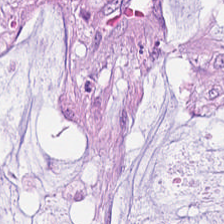H&E stain; FFPE tissue section. Showing extracellular mucin.
